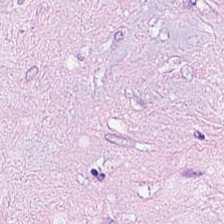H&E stain.
Q: What tissue type is shown here?
A: It is cancer-associated stroma.
